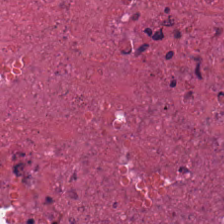H&E stain — Necrotic debris.
